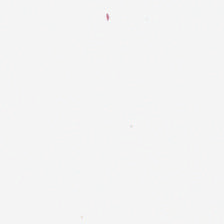FFPE · H&E-stained tissue section.
Background — no tissue in this field.
